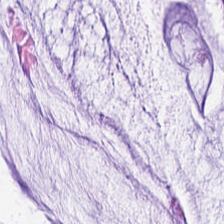Predominantly mucus.
